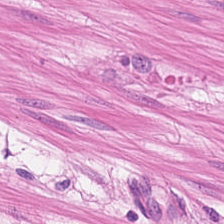H&E; WSI patch. Predominantly smooth-muscle tissue.
